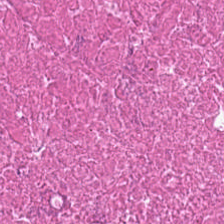20× equivalent magnification. H&E — Tissue: debris.
